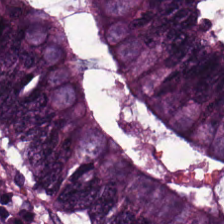0.5 µm/px · 224×224 px patch · hematoxylin and eosin — Showing tumor epithelium.
